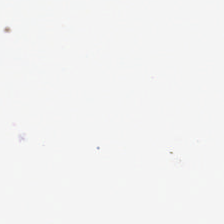Hematoxylin and eosin. Q: What is shown here?
A: No tissue.
